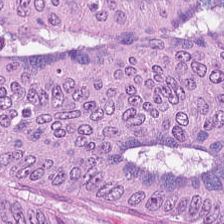Stain: hematoxylin-and-eosin stained section.
Classification: tumor epithelium.
